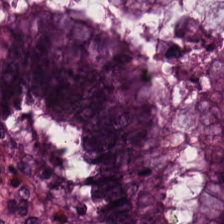The predominant tissue is benign colonic mucosa.
